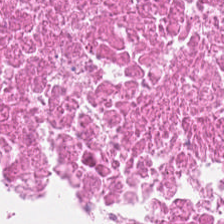Tissue class = necrotic debris.
